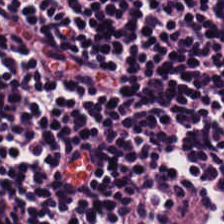H&E. Predominantly lymphocyte aggregate.
